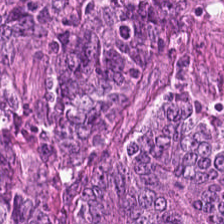H&E stain — The tissue here is adenocarcinoma.
